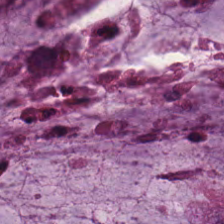H&E; brightfield microscopy; 0.5 microns per pixel. Tissue type — mucus.
